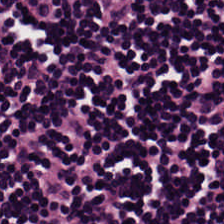The tissue here is lymphoid infiltrate.
